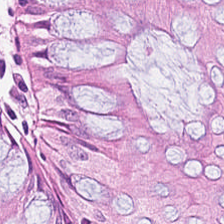H&E.
Classification — benign colonic mucosa.
